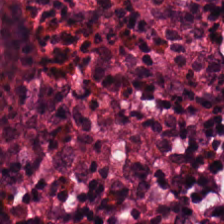Hematoxylin and eosin — The tissue here is benign colonic mucosa.
